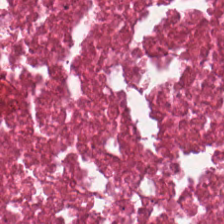Hematoxylin and eosin. This patch shows cellular debris.
